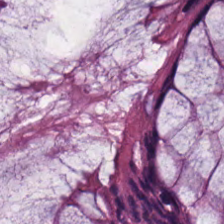Hematoxylin and eosin. FFPE.
Tissue class — non-neoplastic colon mucosa.
